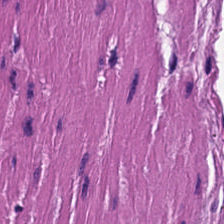Stain: H&E.
Predominant tissue: smooth-muscle tissue.
